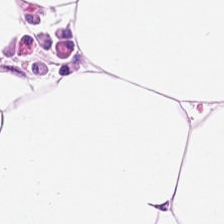Q: What is shown in this field?
A: Fat tissue.
